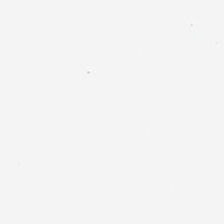Brightfield · FFPE · hematoxylin and eosin.
Empty field — empty background.
